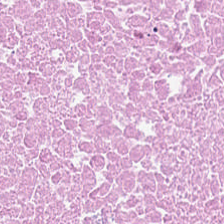0.5 µm per pixel. H&E stain. 224×224 px patch. This patch shows debris.
